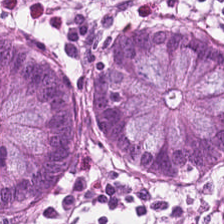Hematoxylin-and-eosin stained section.
This patch shows non-neoplastic colon mucosa.
